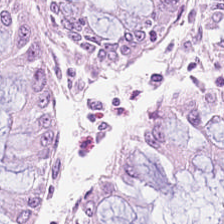Predominant tissue — non-neoplastic colon mucosa.
